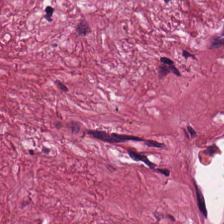H&E-stained tissue section. {"tissue_type": "cancer-associated stroma"}
